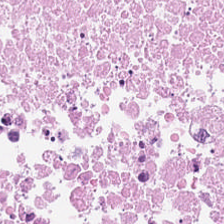Hematoxylin and eosin — Cellular debris.
